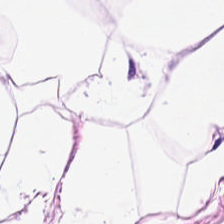H&E-stained tissue section. Classification — adipocytes.
